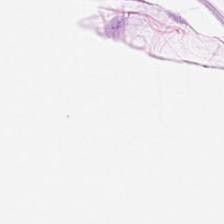Hematoxylin and eosin — Showing fat tissue.
